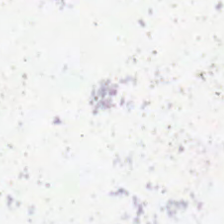Hematoxylin-and-eosin stained section; WSI patch — Q: Classify this patch.
A: The field shows no tissue.
